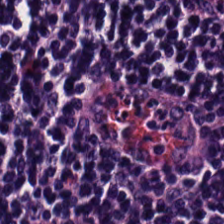224×224 px patch; whole-slide-image patch; H&E. Impression → lymphoid infiltrate.
